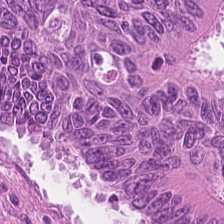Stain: hematoxylin-and-eosin stained section.
Predominant tissue: tumor epithelium.
